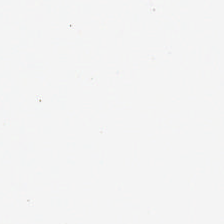Stain: H&E.
Resolution: 20× equivalent magnification.
Content: no tissue.
